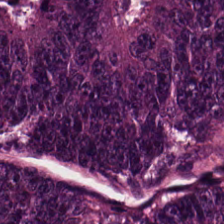H&E.
Impression — tumor epithelium.
